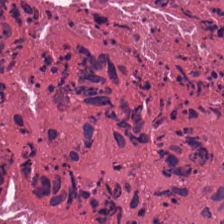Predominantly cellular debris.
